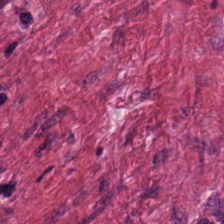H&E stain. This field is tumor stroma.
